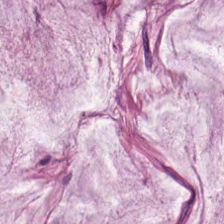Mucin.
